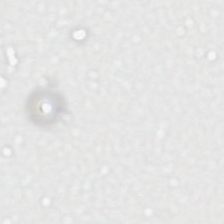Hematoxylin-and-eosin stained section; 224×224 pixel tile.
No tissue.
